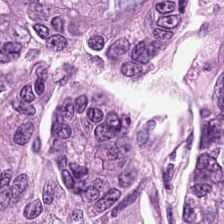0.5 µm/px. Brightfield. Hematoxylin and eosin. The predominant tissue is colorectal adenocarcinoma.
